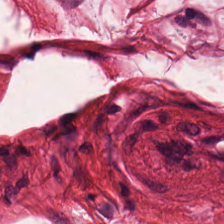Hematoxylin-and-eosin stained section. 0.5 microns per pixel. {"tissue_type": "smooth-muscle tissue"}
